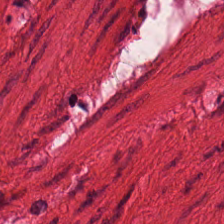Formalin-fixed paraffin-embedded section; H&E stain; 0.5 µm per pixel. This patch shows muscularis.
